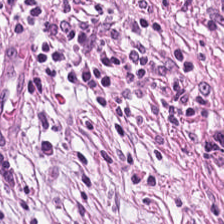H&E. Impression — tumor stroma.
